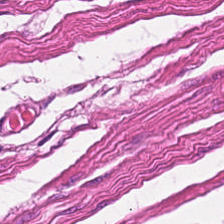Hematoxylin and eosin · brightfield.
Tissue class: smooth muscle.
